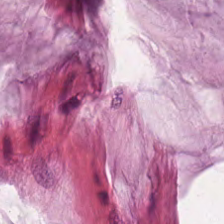Stain: hematoxylin and eosin.
Acquisition: brightfield.
Tissue type: mucin.
